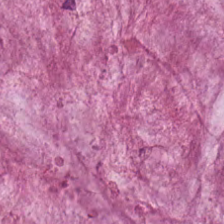H&E-stained section; the field shows mucin.
